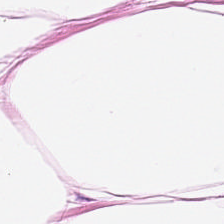Stain: H&E.
Tissue: adipocytes.
